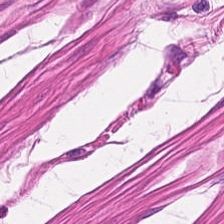Tissue — smooth-muscle tissue.
